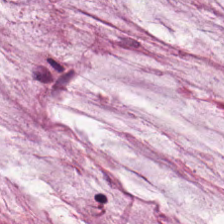Stain: hematoxylin-and-eosin stained section.
Resolution: 20× equivalent magnification.
Acquisition: brightfield.
Tissue type: mucus.
